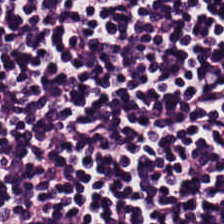H&E. Q: What tissue type is shown here?
A: This is lymphoid infiltrate.
